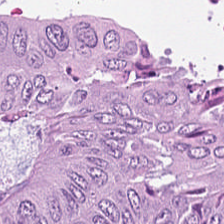Q: What tissue is shown?
A: The field shows colorectal adenocarcinoma epithelium.
